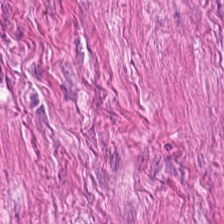Muscularis.
